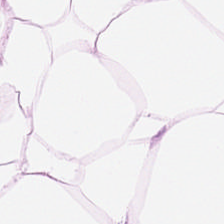20× equivalent magnification. H&E-stained tissue section.
Predominantly adipose tissue.
